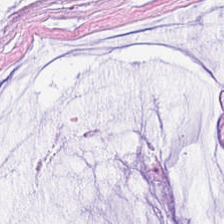H&E-stained tissue section — Tissue: mucin.
